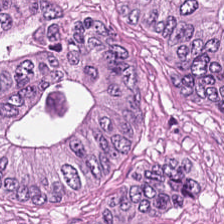Hematoxylin and eosin. 20× equivalent magnification. Finding → colorectal adenocarcinoma epithelium.
